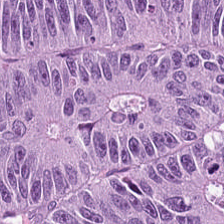Hematoxylin-and-eosin stained section.
Classification = colorectal adenocarcinoma.
